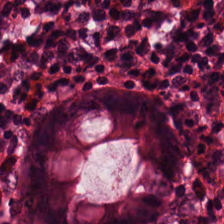H&E stain. Classification = normal colonic mucosa.
